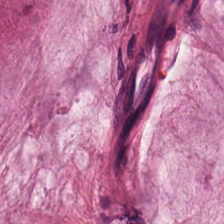Hematoxylin-and-eosin stained section — The predominant tissue is mucin.
